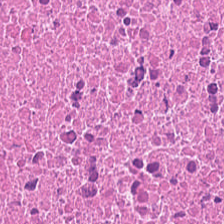Formalin-fixed paraffin-embedded section · hematoxylin-and-eosin stained section · 0.5 microns per pixel. {"tissue_type": "necrotic debris"}
